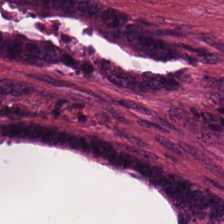Hematoxylin-and-eosin stained section. The predominant tissue is malignant epithelium.
